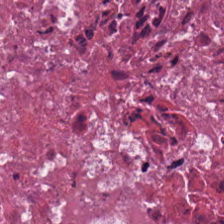Classification = necrotic debris.
